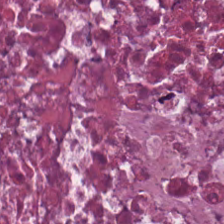H&E.
The tissue type is necrotic debris.
